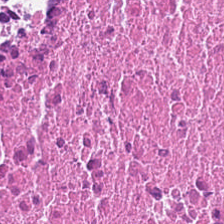Stain: H&E-stained tissue section.
Acquisition: whole-slide-image patch.
Classification: debris.
